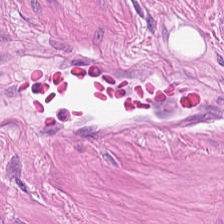Stain: hematoxylin and eosin.
Classification: muscularis.
